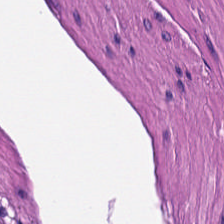0.5 µm per pixel. H&E-stained tissue section.
Predominantly muscularis.
